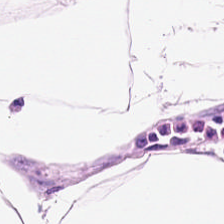Brightfield microscopy; H&E — Q: What tissue is shown?
A: Adipocytes.
